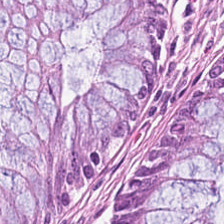Brightfield · FFPE · hematoxylin-and-eosin stained section — Classification: non-neoplastic colon mucosa.
